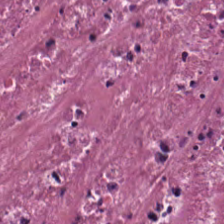Tissue class: cellular debris.
